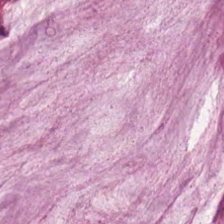224×224 px tile. H&E stain — Mucus.
